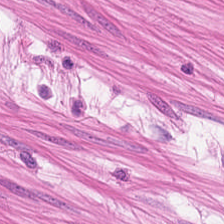H&E stain.
Tissue class = smooth muscle.
